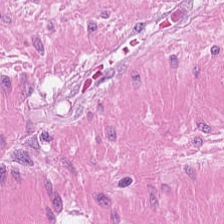H&E patch showing smooth muscle.
